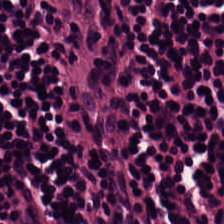H&E. The predominant tissue is lymphoid infiltrate.
